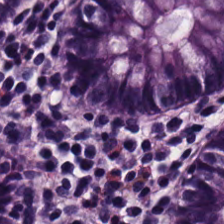H&E stain — Q: What tissue type is shown here?
A: Normal colon mucosa.
